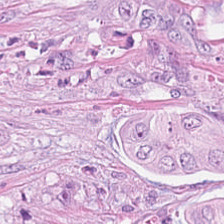H&E stain. Q: What is shown in this field?
A: The field shows tumor epithelium.
